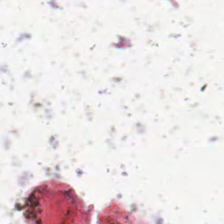Hematoxylin-and-eosin stained section.
Finding — background (no tissue).
